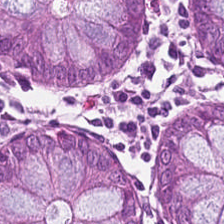Hematoxylin-and-eosin stained section; 0.5 microns per pixel.
Q: What is shown here?
A: The field shows non-neoplastic colon mucosa.
